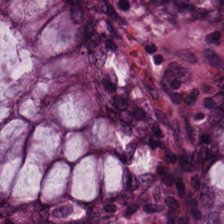This field is benign colonic mucosa.
